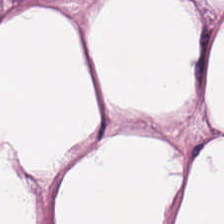Hematoxylin and eosin; whole-slide-image patch.
Tissue type = adipose.
